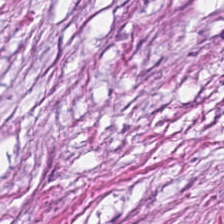Hematoxylin-and-eosin section: tumor-associated stroma.
